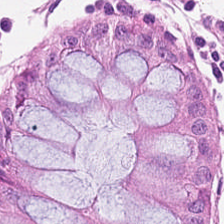Stain: hematoxylin and eosin.
Acquisition: WSI patch.
Tissue class: benign colonic mucosa.
